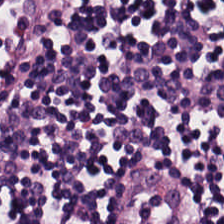Whole-slide-image patch · H&E — The tissue is lymphocyte aggregate.
